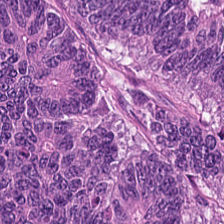H&E-stained tissue section showing colorectal adenocarcinoma.
